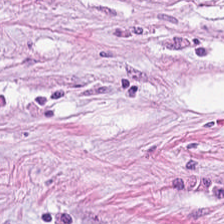224×224 px tile. Formalin-fixed paraffin-embedded section. H&E — Q: What tissue is shown?
A: Tumor stroma.
